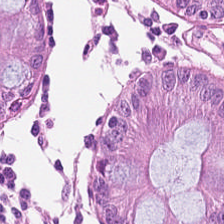WSI patch · H&E · 224×224 px patch — The tissue here is normal colonic mucosa.
